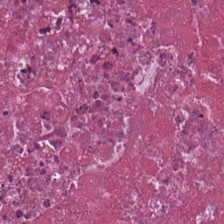Tissue — necrotic debris.
